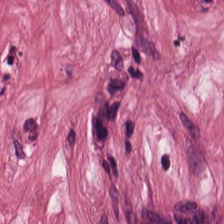H&E — Tissue type: tumor stroma.
